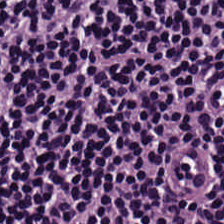FFPE. Hematoxylin and eosin — Histology → lymphocytes.
